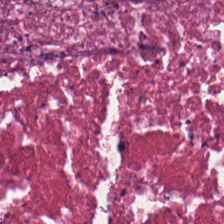Q: Identify the tissue.
A: Cellular debris.
